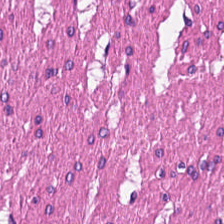H&E stain. The predominant tissue is smooth muscle.
